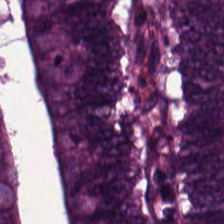FFPE · hematoxylin-and-eosin stained section · 0.5 µm/px — This field is tumor epithelium.
